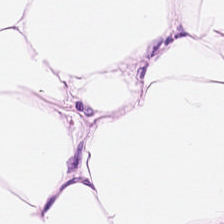Predominant tissue: adipose tissue.
